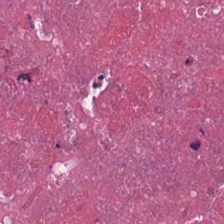Hematoxylin and eosin. Whole-slide-image patch. Showing cellular debris.
